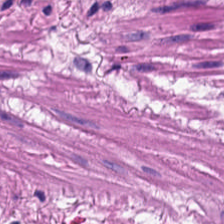H&E. 0.5 microns per pixel. WSI patch — Tissue: smooth muscle.
